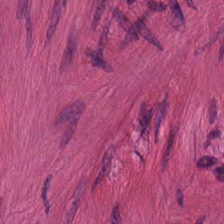224×224 px tile. H&E. Predominantly smooth muscle.
